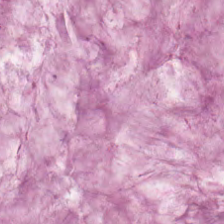Predominantly mucus.
